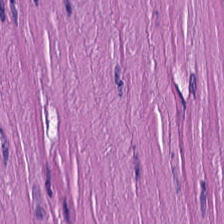H&E · whole-slide-image patch.
Q: What tissue is shown?
A: Muscularis.
